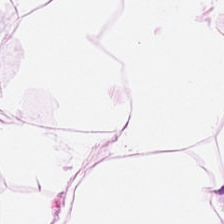H&E-stained tissue section. Tissue: fat tissue.
